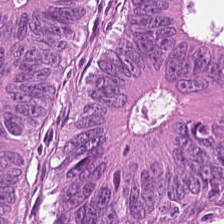This patch shows malignant epithelium.
